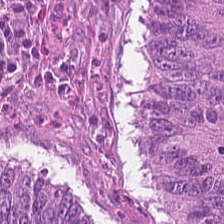H&E stain.
The tissue here is malignant epithelium.
